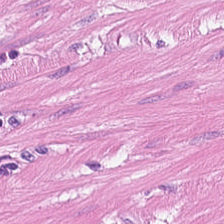H&E stain; 0.5 microns per pixel.
Classification = smooth-muscle tissue.
